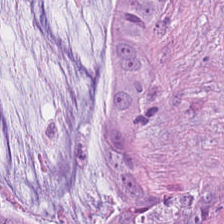Hematoxylin-and-eosin stained section.
The predominant tissue is adenocarcinoma.
